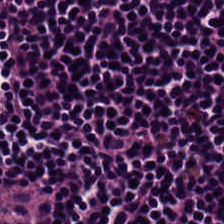H&E stain — This field is lymphocytic infiltrate.
